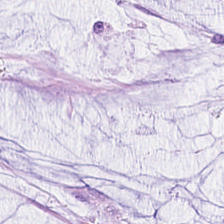H&E-stained tissue section. Whole-slide-image patch.
Finding → mucin.
